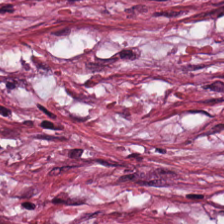H&E.
The predominant tissue is tumor stroma.
